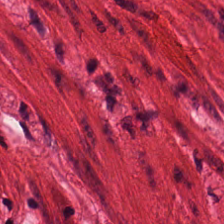Classification: muscularis.
